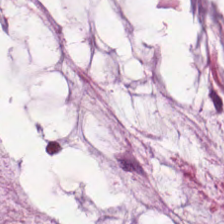WSI patch · H&E stain.
Tissue: mucus.
